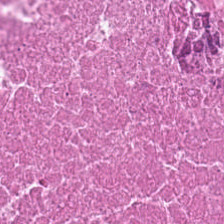FFPE tissue section; H&E-stained tissue section. Debris.
